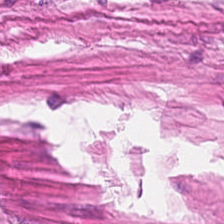Formalin-fixed paraffin-embedded section · H&E-stained tissue section.
The predominant tissue is muscularis.
